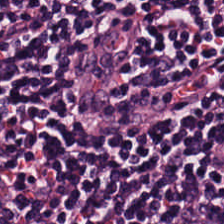H&E.
Lymphoid infiltrate.
